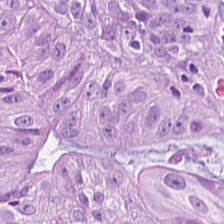Tissue class = colorectal adenocarcinoma.
